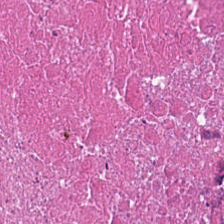Hematoxylin and eosin. Q: What is shown in this field?
A: The field shows necrotic debris.
